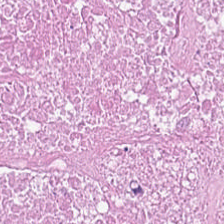Predominantly cellular debris.
